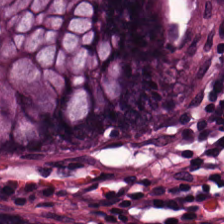Tissue — non-neoplastic colon mucosa.
